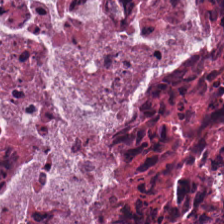Predominantly cellular debris.
